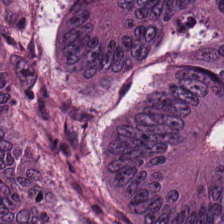H&E stain; 0.5 µm per pixel. Tissue = colorectal adenocarcinoma.
